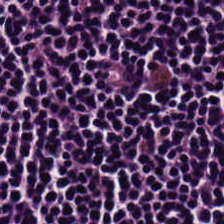0.5 µm/px; hematoxylin-and-eosin stained section.
The tissue here is lymphocytes.
